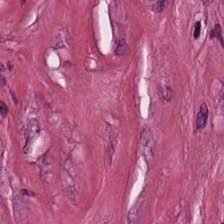20× equivalent magnification. FFPE. Hematoxylin-and-eosin stained section. Q: Classify this patch.
A: This is desmoplastic stroma.
